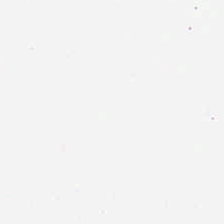H&E stain; formalin-fixed paraffin-embedded section — Q: What does this patch show?
A: No tissue.
